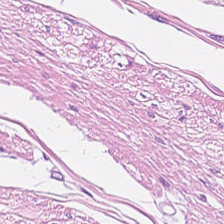H&E-stained tissue section.
This patch shows smooth-muscle tissue.
